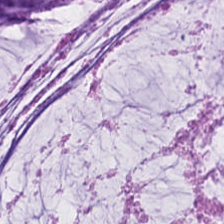Stain: H&E-stained tissue section.
Tissue: extracellular mucin.
